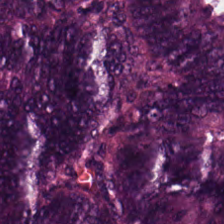H&E · 0.5 µm/px · 224×224 pixel tile. Q: What type of tissue is this?
A: It is adenocarcinoma.
